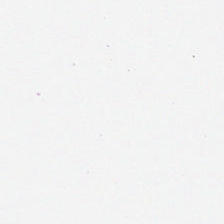Stain: H&E stain.
Acquisition: whole-slide-image patch.
Field content: background.
